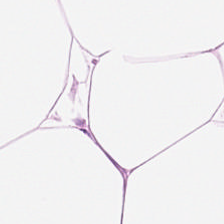0.5 µm/px · H&E stain · FFPE tissue section — Fat tissue.
